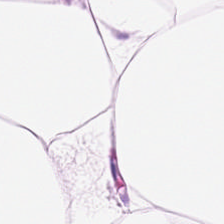H&E — adipocytes.
